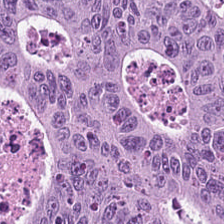H&E-stained tissue section.
Finding — colorectal adenocarcinoma.
